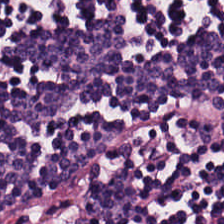FFPE tissue section; 0.5 µm per pixel; H&E-stained tissue section.
This field is lymphocytes.
